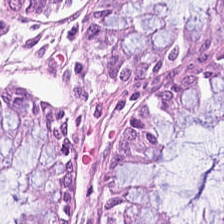H&E-stained tissue section · 224×224 px patch · 0.5 µm/px. Showing normal colon mucosa.
